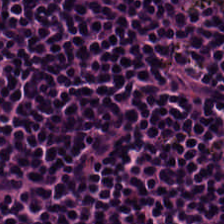H&E stain. Predominantly lymphocyte aggregate.
